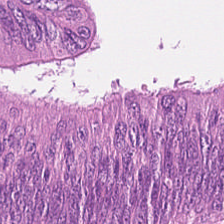H&E stain — Predominant tissue = colorectal adenocarcinoma.
